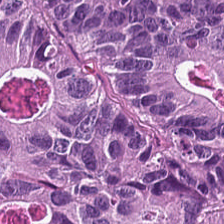H&E. Whole-slide-image patch — Finding → colorectal adenocarcinoma.
